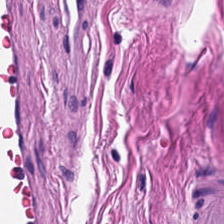Stain: hematoxylin-and-eosin stained section.
Resolution: 0.5 microns per pixel.
Tissue: smooth-muscle tissue.
